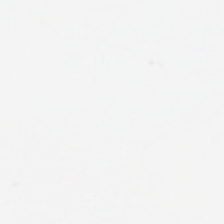0.5 µm per pixel; H&E; 224×224 px tile. Content: no tissue.
